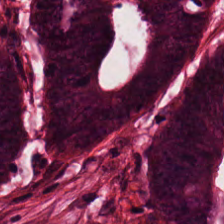Hematoxylin-and-eosin stained section. Tissue type = tumor epithelium.
